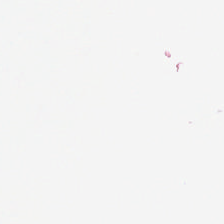Formalin-fixed paraffin-embedded section · H&E stain · brightfield — Background — no tissue in this field.
